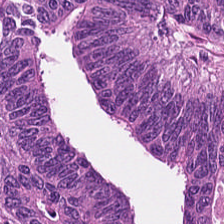{"tissue_type": "adenocarcinoma"}
